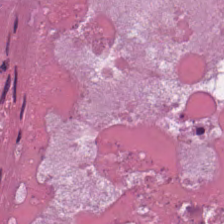20× equivalent magnification. H&E-stained tissue section. FFPE tissue section — Tissue type: debris.
